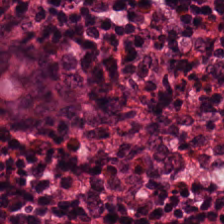Hematoxylin and eosin.
The predominant tissue is non-neoplastic colon mucosa.
